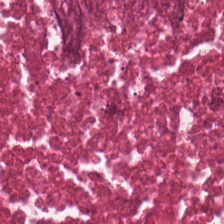H&E stain.
The predominant tissue is debris.
